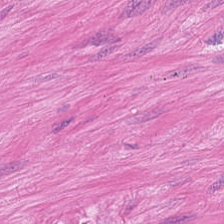H&E — Q: Identify the tissue.
A: Smooth-muscle tissue.
